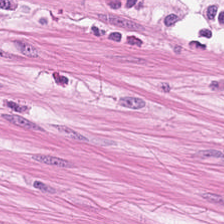Predominant tissue: smooth muscle.
